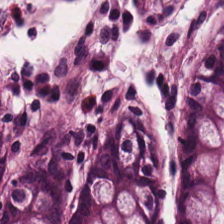Tissue type: non-neoplastic colon mucosa.
